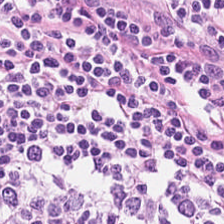The predominant tissue is lymphocytic infiltrate.
